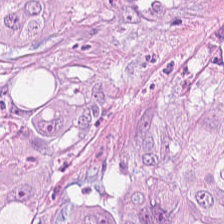H&E-stained tissue section showing adenocarcinoma.
